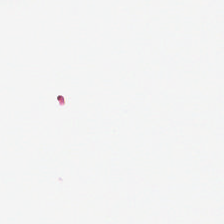Stain: hematoxylin and eosin.
Acquisition: whole-slide-image patch.
Resolution: 20× equivalent magnification.
Field content: background.
